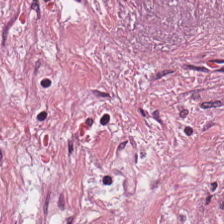Stain: H&E stain.
Predominant tissue: tumor-associated stroma.
